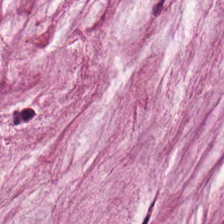Q: Classify this patch.
A: Mucus.
